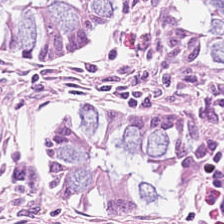FFPE · H&E-stained tissue section · 224×224 pixel tile — Showing benign colonic mucosa.
